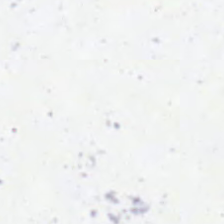0.5 µm per pixel; hematoxylin and eosin — Content = empty background.
